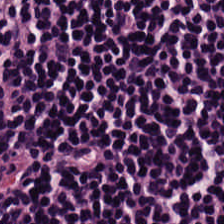224×224 px tile · hematoxylin and eosin · 0.5 µm per pixel.
Q: What is shown in this field?
A: The field shows lymphocytic infiltrate.
